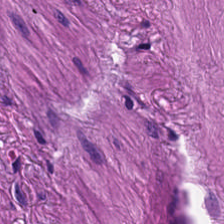Hematoxylin-and-eosin stained section · 0.5 microns per pixel — This field is muscularis.
